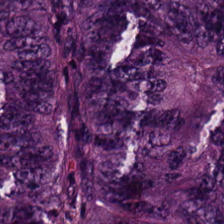Q: What is shown here?
A: The field shows colorectal adenocarcinoma epithelium.
